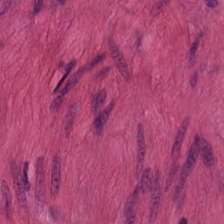Stain: hematoxylin-and-eosin stained section.
Tissue class: smooth muscle.
